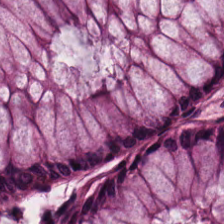224×224 px tile. H&E. Brightfield.
Finding → normal colon mucosa.
